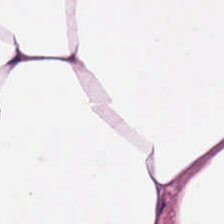FFPE. Hematoxylin-and-eosin stained section. Q: What is shown here?
A: The field shows fat tissue.
